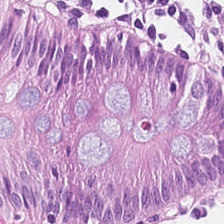Predominantly non-neoplastic colon mucosa.
